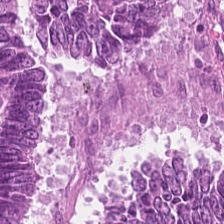H&E. 224×224 pixel tile. 20× equivalent magnification. The predominant tissue is adenocarcinoma.
